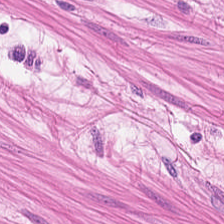Formalin-fixed paraffin-embedded section; hematoxylin-and-eosin stained section — Predominantly smooth muscle.
